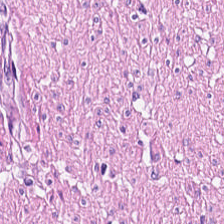20× equivalent magnification · hematoxylin-and-eosin stained section — Tissue: smooth muscle.
